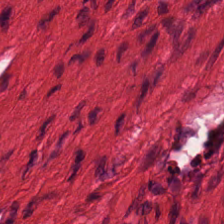Q: What tissue is shown?
A: This is muscularis.
